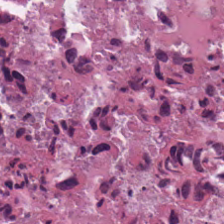H&E — Q: What type of tissue is this?
A: This is cellular debris.
